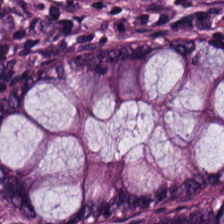H&E-stained tissue section — Q: What does this patch show?
A: It is normal colon mucosa.
